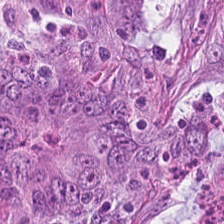{"tissue_type": "tumor epithelium"}
